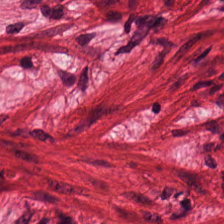H&E stain. 224×224 px patch. 20× equivalent magnification — Tissue: smooth muscle.
